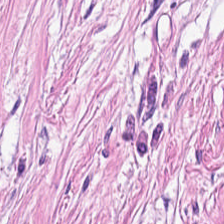FFPE tissue section. 0.5 microns per pixel. H&E. Impression → tumor stroma.
